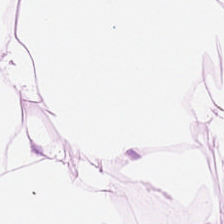Hematoxylin and eosin. Formalin-fixed paraffin-embedded section — This patch shows adipose tissue.
